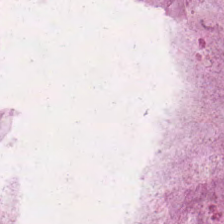FFPE tissue section; 224×224 px patch; H&E.
Showing mucin.
